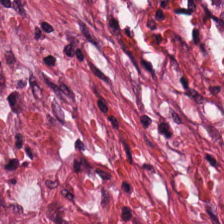224×224 pixel tile · H&E.
Tissue type: tumor stroma.
